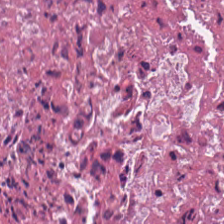Brightfield microscopy; H&E stain. Q: What type of tissue is this?
A: This is debris.
